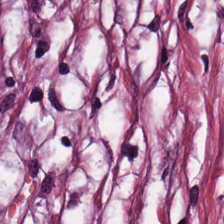0.5 µm per pixel. FFPE tissue section. H&E stain.
Predominantly tumor-associated stroma.
